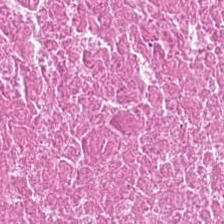FFPE tissue section. Hematoxylin-and-eosin stained section — This patch shows cellular debris.
